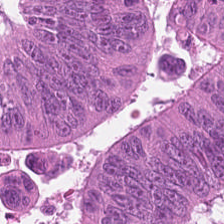H&E-stained tissue section.
Predominant tissue — colorectal adenocarcinoma.
